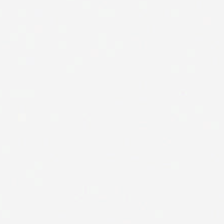FFPE. 0.5 µm per pixel. Hematoxylin and eosin.
{"content": "background (no tissue)"}
